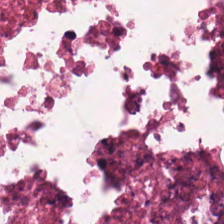H&E-stained tissue section.
Tissue class — debris.
